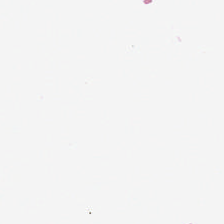Hematoxylin-and-eosin stained section. 0.5 µm per pixel.
No tissue present; background only.
